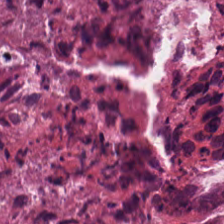Q: Identify the tissue.
A: This is cellular debris.
